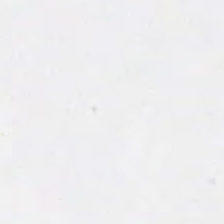FFPE; 224×224 px patch; H&E stain. Field content: background (no tissue).
